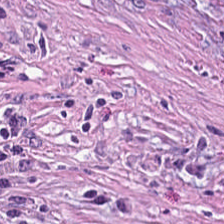Hematoxylin and eosin. Whole-slide-image patch. Predominant tissue — tumor stroma.
